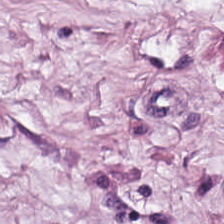Hematoxylin-and-eosin stained section — Q: Identify the tissue.
A: It is adipose tissue.
